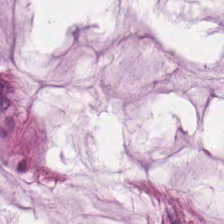224×224 px tile; hematoxylin and eosin — Classification — mucin.
